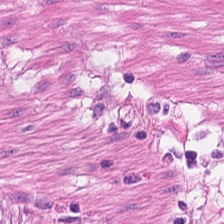Tissue class — smooth-muscle tissue.
